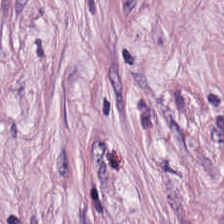224×224 px tile. H&E. Brightfield microscopy. Showing cancer-associated stroma.
